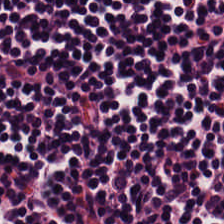Classification: lymphocyte aggregate.
